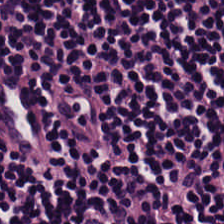H&E-stained tissue section · 224×224 pixel tile. The predominant tissue is lymphocyte aggregate.
